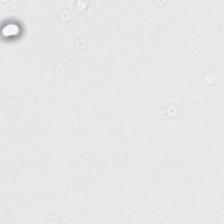H&E. Finding → background (no tissue).
